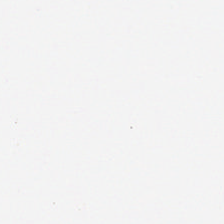Hematoxylin-and-eosin stained section. Q: What is shown in this field?
A: This is empty background.
